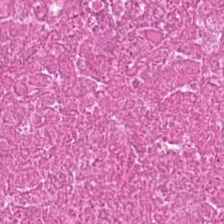224×224 px tile; H&E — Predominantly debris.
